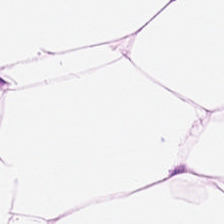This field is fat tissue.
